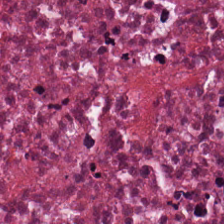FFPE tissue section. H&E stain. 0.5 microns per pixel. This patch shows cellular debris.
